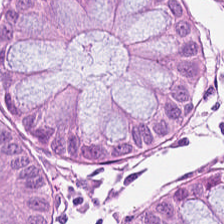H&E · 20× equivalent magnification.
This patch shows normal colon mucosa.
